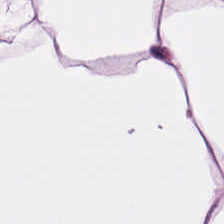Stain: H&E-stained tissue section.
Preparation: FFPE tissue section.
Tissue class: adipose.
